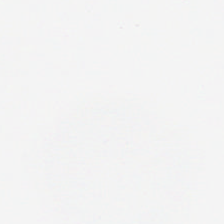Whole-slide-image patch · H&E stain — Impression → background (no tissue).
